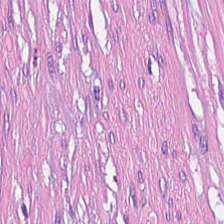FFPE. Brightfield microscopy. H&E stain. {"tissue_type": "desmoplastic stroma"}
